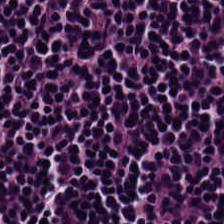H&E stain. Impression — lymphoid infiltrate.
